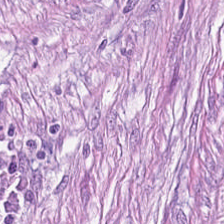H&E-stained tissue section. Tissue class: tumor stroma.
